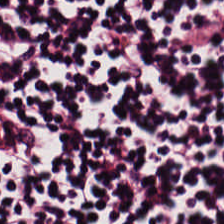Hematoxylin-and-eosin stained section. This patch shows lymphocyte aggregate.
